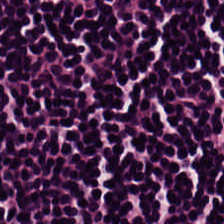H&E.
Finding — lymphocyte aggregate.
